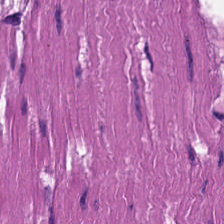Stain: H&E-stained tissue section.
Tissue class: smooth-muscle tissue.
